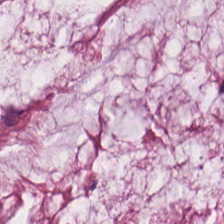Whole-slide-image patch. H&E-stained tissue section.
The tissue class is mucin.
